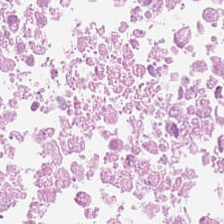0.5 µm/px · hematoxylin and eosin · 224×224 pixel tile. Impression — debris.
